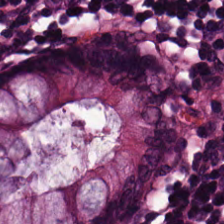Tissue — normal colon mucosa.
